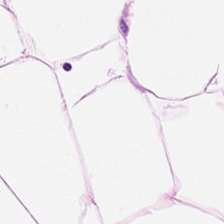Brightfield; H&E-stained tissue section — Fat tissue.
